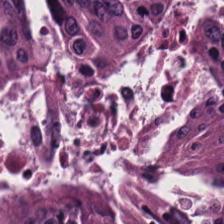H&E-stained tissue section. Brightfield.
This patch shows colorectal adenocarcinoma epithelium.
